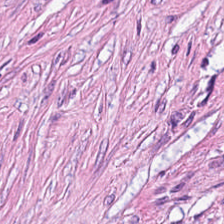H&E-stained tissue section showing desmoplastic stroma.
